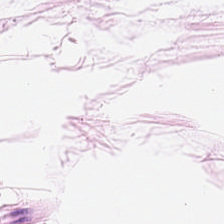H&E-stained tissue section. Brightfield — Q: What tissue type is shown here?
A: It is adipocytes.
